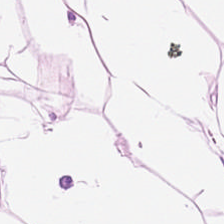Hematoxylin and eosin.
Histology → fat tissue.
